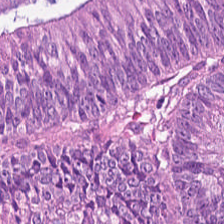H&E stain.
The tissue here is malignant epithelium.
